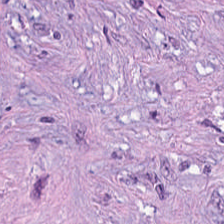Tissue type — tumor stroma.
